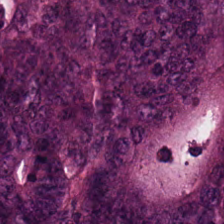H&E-stained section; the field shows colorectal adenocarcinoma epithelium.
